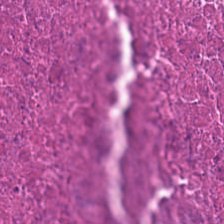Hematoxylin-and-eosin stained section. {"tissue_type": "cellular debris"}
